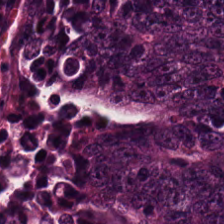Hematoxylin-and-eosin stained section — The predominant tissue is colorectal adenocarcinoma epithelium.
